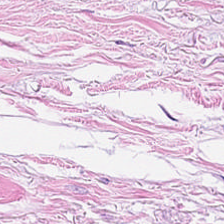Formalin-fixed paraffin-embedded section; H&E; 224×224 pixel tile — Predominant tissue = tumor-associated stroma.
